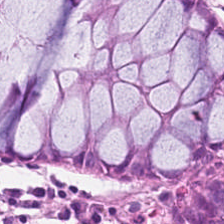Hematoxylin and eosin. Predominantly benign colonic mucosa.
